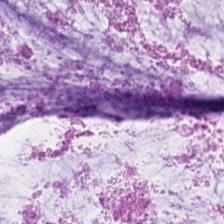H&E — Showing mucus.
